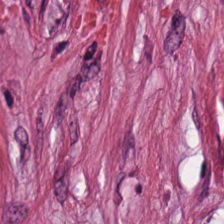Stain: H&E stain.
Tissue class: desmoplastic stroma.
